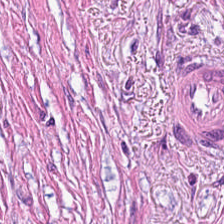Predominant tissue — cancer-associated stroma.
